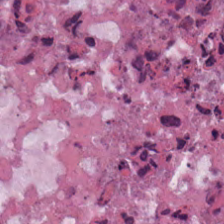FFPE. Hematoxylin-and-eosin stained section. {"tissue_type": "necrotic debris"}
